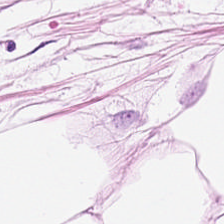Hematoxylin and eosin.
Showing adipocytes.
